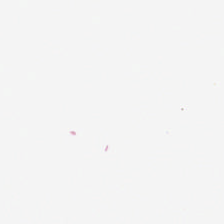H&E; formalin-fixed paraffin-embedded section.
{"content": "no tissue"}
